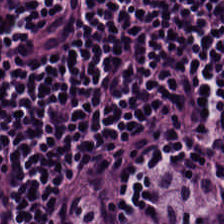FFPE · hematoxylin and eosin. {"tissue_type": "lymphocytic infiltrate"}
